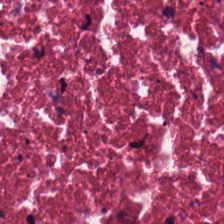H&E stain; whole-slide-image patch. The tissue is cellular debris.
